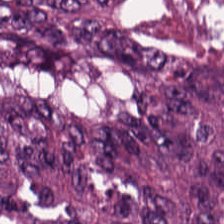Finding → adenocarcinoma.
